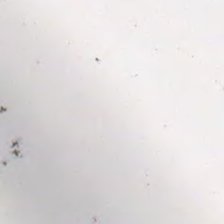224×224 px tile. H&E.
No tissue present; background only.
